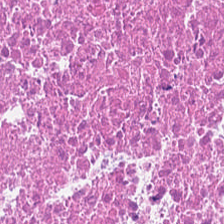H&E.
The predominant tissue is cellular debris.
